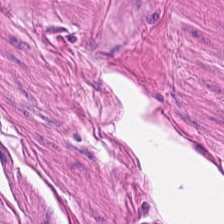H&E-stained tissue section · brightfield microscopy — Smooth-muscle tissue.
